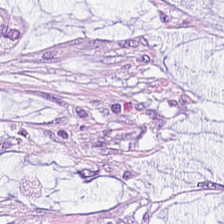FFPE tissue section · H&E-stained tissue section — Q: What is shown in this field?
A: This is mucin.
